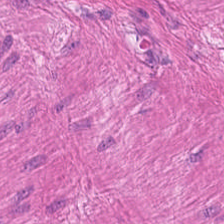H&E stain — Predominantly smooth-muscle tissue.
